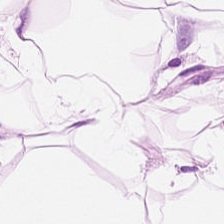Hematoxylin and eosin — Tissue type = adipose tissue.
